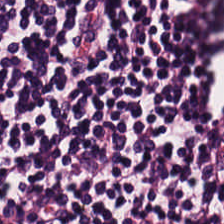Hematoxylin-and-eosin section: lymphoid infiltrate.
